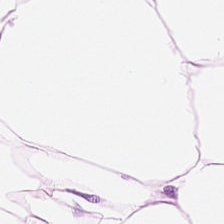H&E-stained tissue section — Adipocytes.
